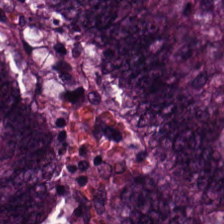Hematoxylin and eosin. WSI patch.
Colorectal adenocarcinoma epithelium.
